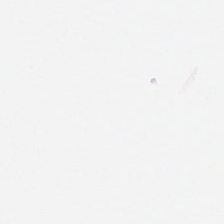224×224 px patch. Hematoxylin and eosin. {"content": "background"}
